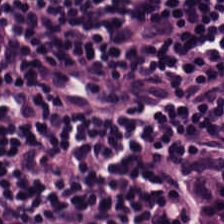H&E-stained tissue section — Q: What tissue type is shown here?
A: It is lymphocytes.
